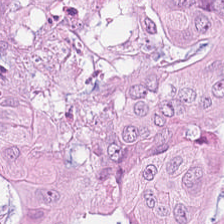H&E stain. The tissue type is malignant epithelium.
